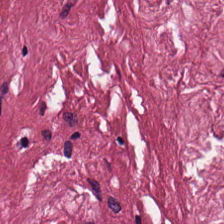Brightfield microscopy; hematoxylin and eosin — Q: What is shown here?
A: Cancer-associated stroma.
